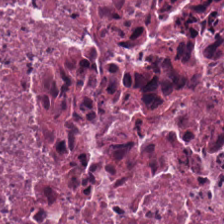H&E-stained tissue section. WSI patch — Showing cellular debris.
